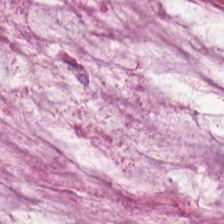Stain: H&E-stained tissue section.
Acquisition: brightfield.
Tile size: 224×224 pixel tile.
Classification: mucus.
